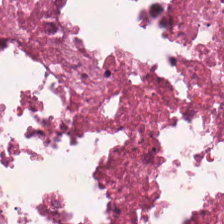224×224 px tile · H&E stain · WSI patch. Q: What is shown in this field?
A: It is cellular debris.
